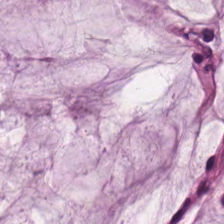FFPE tissue section; H&E. Impression → extracellular mucin.
